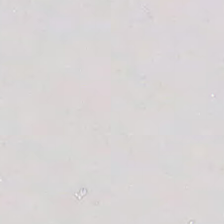H&E-stained tissue section; whole-slide-image patch. Impression → empty background.
